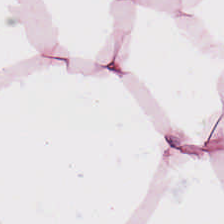H&E stain; formalin-fixed paraffin-embedded section; 20× equivalent magnification. Impression — adipose tissue.
